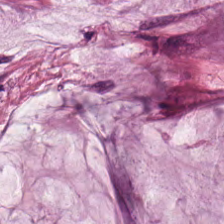Formalin-fixed paraffin-embedded section · H&E — Q: What type of tissue is this?
A: This is mucus.
